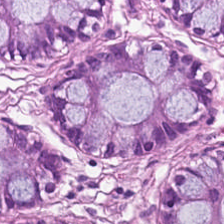Stain: hematoxylin-and-eosin stained section.
Acquisition: whole-slide-image patch.
Resolution: 0.5 microns per pixel.
Classification: non-neoplastic colon mucosa.
